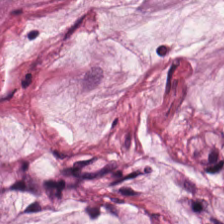H&E-stained tissue section; 224×224 px patch.
This patch shows mucin.
